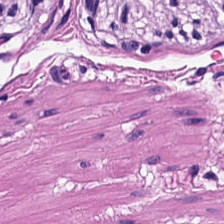Hematoxylin and eosin · 0.5 µm/px · whole-slide-image patch. The predominant tissue is smooth-muscle tissue.
